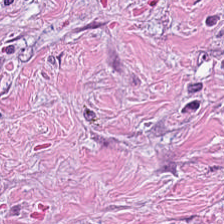Stain: hematoxylin and eosin.
Tissue type: cancer-associated stroma.
